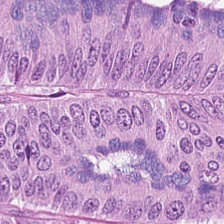H&E stain — Predominantly colorectal adenocarcinoma.
